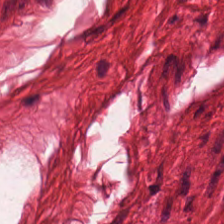FFPE tissue section; 0.5 microns per pixel; hematoxylin and eosin. This patch shows smooth-muscle tissue.
